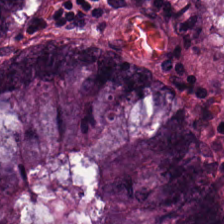0.5 microns per pixel · H&E-stained tissue section.
Showing adenocarcinoma.
